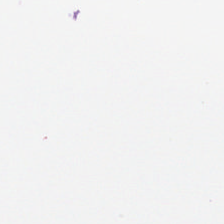H&E stain — This field is background (no tissue).
